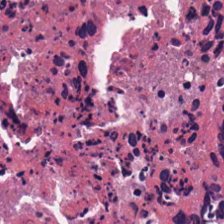Whole-slide-image patch · hematoxylin-and-eosin stained section · 0.5 µm/px — Predominant tissue: cellular debris.
